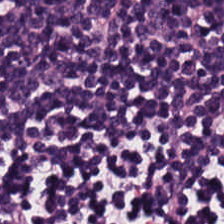Stain: hematoxylin and eosin.
Tile size: 224×224 pixel tile.
Classification: lymphocyte aggregate.
